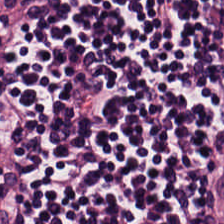Hematoxylin-and-eosin stained section — Lymphoid infiltrate.
